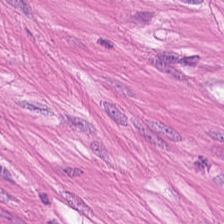H&E-stained tissue section · WSI patch.
This patch shows smooth muscle.
